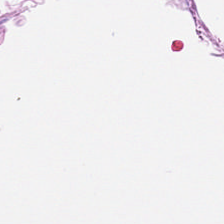The classification is smooth muscle.
